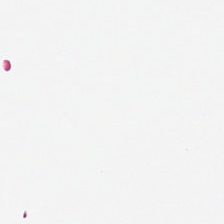Stain: H&E.
Field content: empty background.
